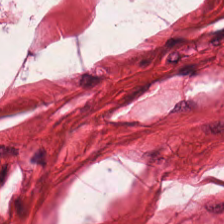224×224 px patch. H&E stain.
Q: Classify this patch.
A: This is smooth muscle.
